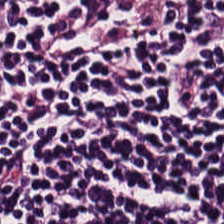Hematoxylin and eosin. Impression — lymphocytes.
